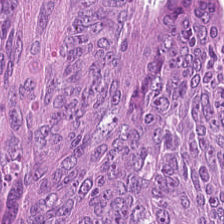Tissue type = tumor epithelium.
